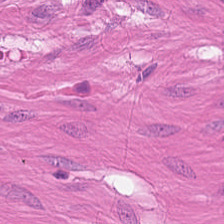Impression → smooth muscle.
